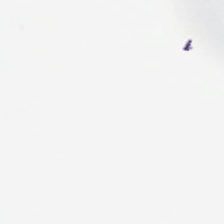Finding → background.
